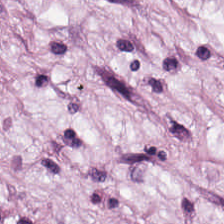Whole-slide-image patch · H&E-stained tissue section.
Tissue — fat tissue.
